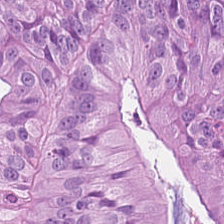Stain: hematoxylin and eosin.
Tissue type: tumor epithelium.
